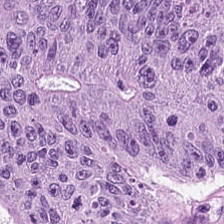H&E; 0.5 µm/px — {"tissue_type": "colorectal adenocarcinoma epithelium"}
